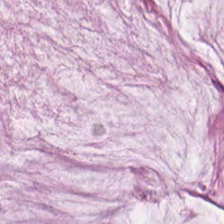H&E-stained tissue section. FFPE tissue section.
Tissue class = extracellular mucin.
